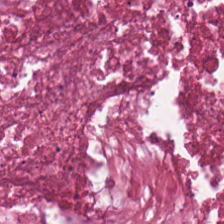Hematoxylin-and-eosin stained section.
This field is necrotic debris.
